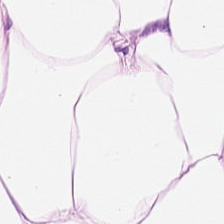H&E.
Histology → adipose tissue.
